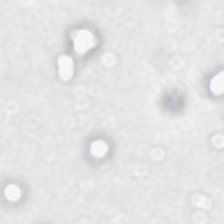The classification is empty background.
